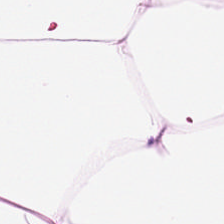H&E stain. Q: What is shown here?
A: Adipocytes.
